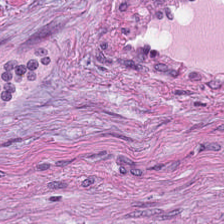H&E-stained tissue section — This patch shows tumor-associated stroma.
